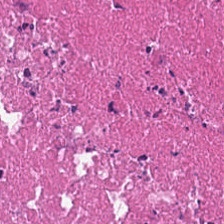FFPE. Brightfield microscopy. Hematoxylin and eosin.
Q: What tissue is shown?
A: The field shows necrotic debris.
